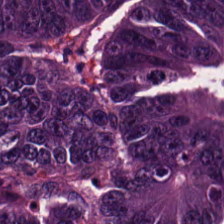Hematoxylin-and-eosin stained section. The predominant tissue is tumor epithelium.
